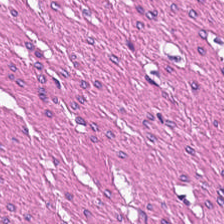H&E-stained tissue section.
Histology — smooth muscle.
